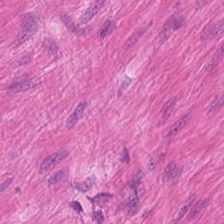H&E — Tissue class — smooth-muscle tissue.
